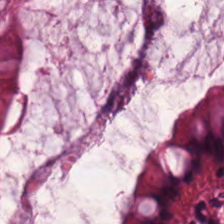Hematoxylin and eosin. Histology — normal colonic mucosa.
